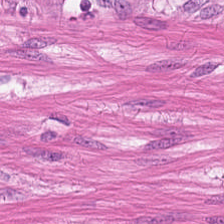H&E stain.
Impression — smooth muscle.
